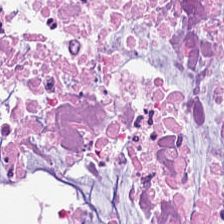0.5 microns per pixel · 224×224 px tile · H&E-stained tissue section. The predominant tissue is cellular debris.
